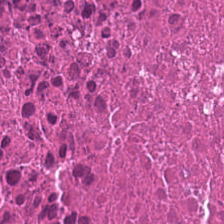H&E-stained tissue section.
This patch shows necrotic debris.
